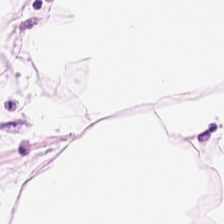Hematoxylin and eosin — Finding → adipocytes.
